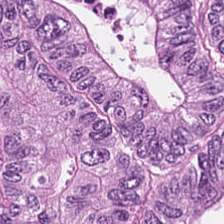Hematoxylin and eosin — Impression — colorectal adenocarcinoma.
